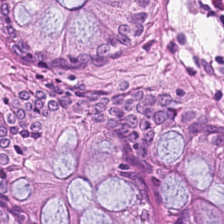H&E stain; WSI patch. Histology — normal colon mucosa.
